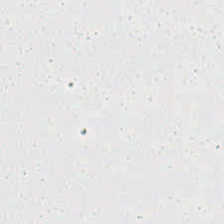Empty field — no tissue.
